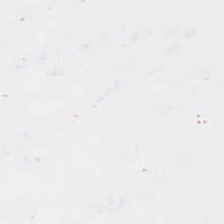Hematoxylin-and-eosin stained section.
Empty field — no tissue.
